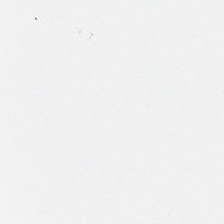This field is background (no tissue).
